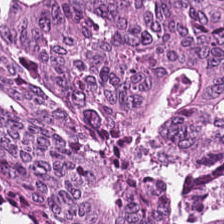Hematoxylin and eosin.
Q: What does this patch show?
A: This is colorectal adenocarcinoma.
